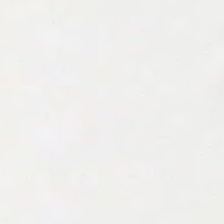H&E stain.
{"content": "empty background"}
